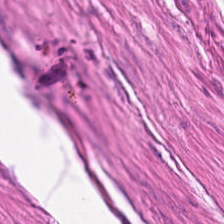Hematoxylin and eosin; FFPE; 20× equivalent magnification.
The predominant tissue is muscularis.
